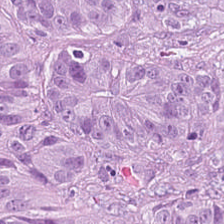H&E · FFPE. The tissue is malignant epithelium.
